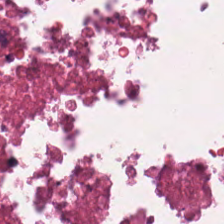Stain: hematoxylin and eosin.
Tissue class: cellular debris.
